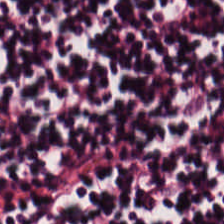Tissue class = lymphocyte aggregate.
